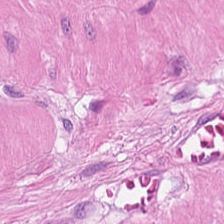Predominantly muscularis.
